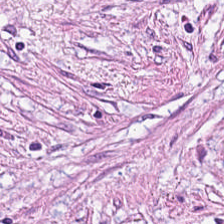20× equivalent magnification; H&E stain. The tissue here is cancer-associated stroma.
